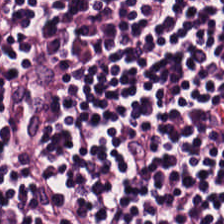H&E — lymphoid infiltrate.
